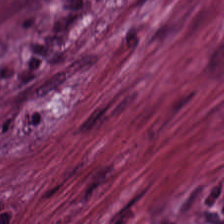Stain: hematoxylin and eosin.
Tile size: 224×224 pixel tile.
Tissue: tumor-associated stroma.
